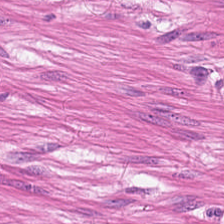Tissue = muscularis.
